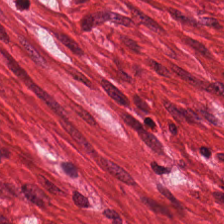Hematoxylin-and-eosin stained section.
This field is smooth muscle.
